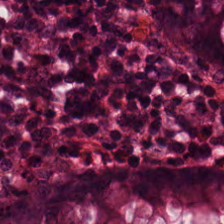Stain: H&E stain.
Tile size: 224×224 pixel tile.
Acquisition: whole-slide-image patch.
Classification: normal colon mucosa.
